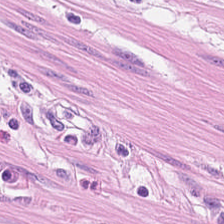FFPE tissue section. 224×224 px tile. H&E. Q: Classify this patch.
A: Smooth-muscle tissue.
